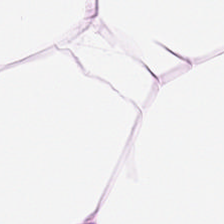Q: What type of tissue is this?
A: This is fat tissue.
